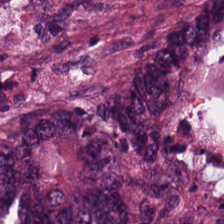Hematoxylin and eosin · 0.5 µm/px. Q: What tissue is shown?
A: Colorectal adenocarcinoma epithelium.
